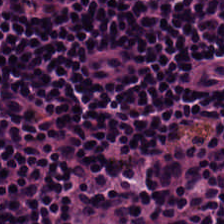Whole-slide-image patch · H&E. The predominant tissue is lymphocyte aggregate.
